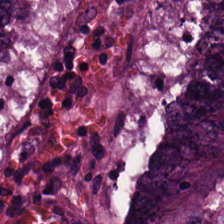0.5 µm per pixel. 224×224 pixel tile. H&E-stained tissue section — This patch shows tumor epithelium.
